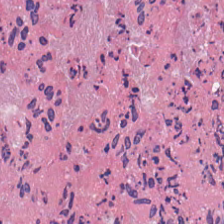Hematoxylin-and-eosin section: necrotic debris.
